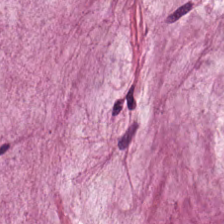Hematoxylin-and-eosin stained section — Tissue class — mucin.
